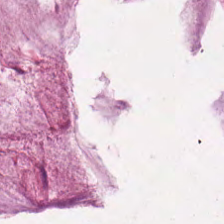Hematoxylin-and-eosin stained section — The tissue is mucin.
